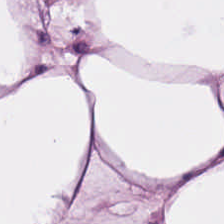Q: What tissue type is shown here?
A: Fat tissue.
